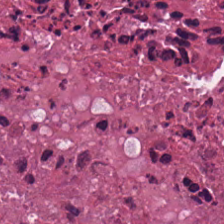Impression — debris.
